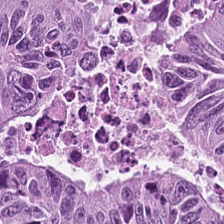H&E stain — This field is tumor epithelium.
